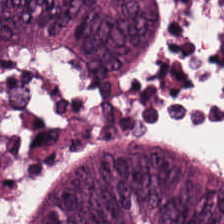Hematoxylin and eosin. Finding — tumor epithelium.
